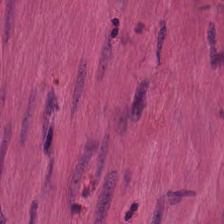H&E stain.
Q: What tissue type is shown here?
A: Smooth muscle.
